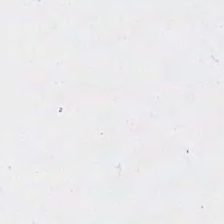Hematoxylin-and-eosin stained section — Impression → background.
